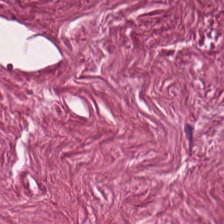Hematoxylin-and-eosin stained section. 224×224 pixel tile. This patch shows desmoplastic stroma.
